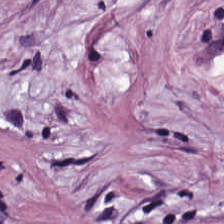FFPE tissue section; H&E-stained tissue section.
The predominant tissue is tumor-associated stroma.
